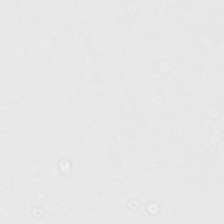Field content — no tissue.
